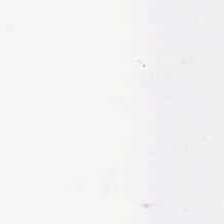20× equivalent magnification; hematoxylin-and-eosin stained section.
Q: What does this patch show?
A: Empty background.
